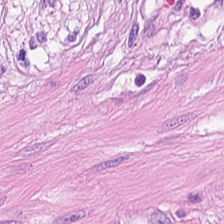H&E-stained tissue section. Tissue: muscularis.
